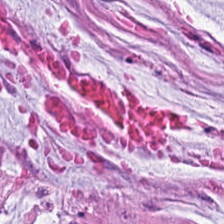H&E stain; 0.5 µm/px. Tissue type = mucin.
